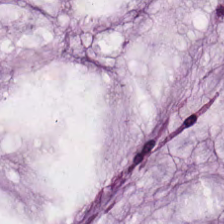H&E stain — Showing extracellular mucin.
